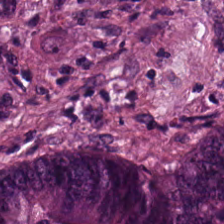Colorectal adenocarcinoma.
